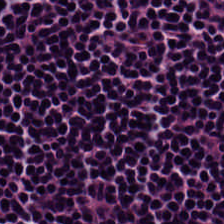H&E-stained tissue section.
Q: What type of tissue is this?
A: The field shows lymphoid infiltrate.
